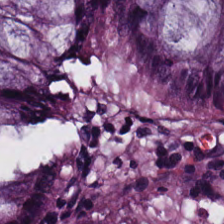224×224 px patch · FFPE · H&E-stained tissue section. Classification: normal colon mucosa.
